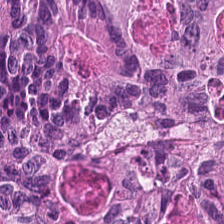The predominant tissue is colorectal adenocarcinoma.
